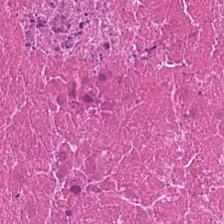Classification: debris.
